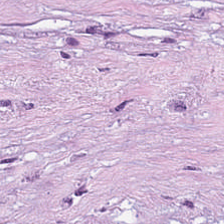Hematoxylin and eosin.
Classification = tumor-associated stroma.
